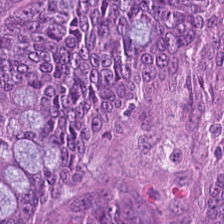Hematoxylin and eosin.
Q: What tissue is shown?
A: Colorectal adenocarcinoma epithelium.
